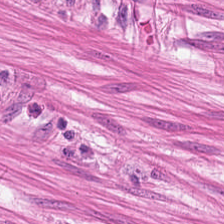H&E-stained tissue section.
Tissue type — smooth muscle.
